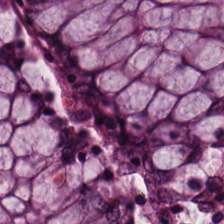H&E. FFPE tissue section.
Finding — benign colonic mucosa.
